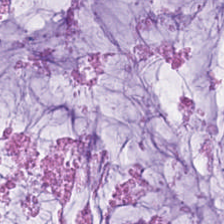20× equivalent magnification; H&E-stained tissue section.
The tissue is extracellular mucin.
